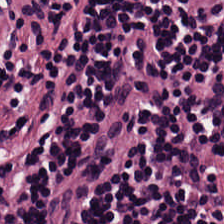H&E-stained tissue section showing lymphoid infiltrate.
